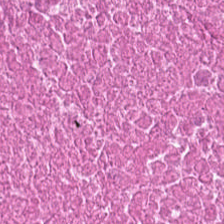Hematoxylin and eosin — Q: What is shown here?
A: The field shows cellular debris.
